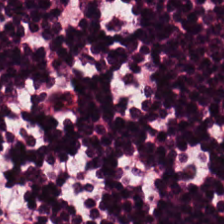224×224 px patch; hematoxylin and eosin.
Predominantly lymphocytic infiltrate.
